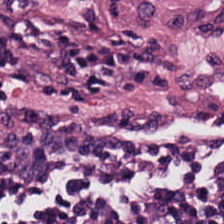Q: What is the predominant tissue type?
A: This is lymphoid infiltrate.
